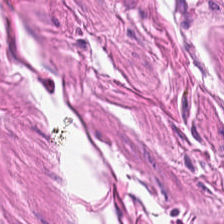Impression — smooth muscle.
